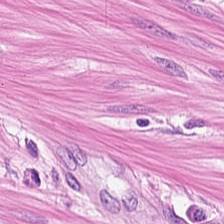Tissue: muscularis.
